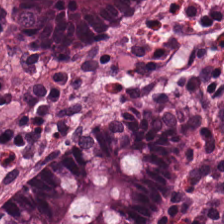Stain: H&E-stained tissue section.
Tissue: normal colon mucosa.
